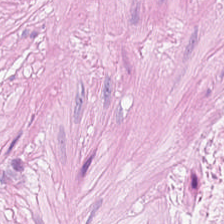The tissue type is smooth muscle.
